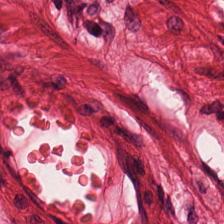H&E-stained tissue section.
Q: What is the predominant tissue type?
A: It is muscularis.
